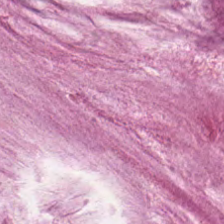224×224 px patch; hematoxylin-and-eosin stained section.
Showing mucus.
